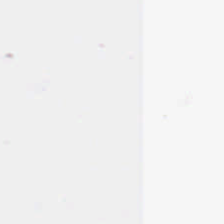Brightfield · H&E. This field is background (no tissue).
